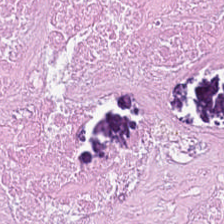Stain: H&E-stained tissue section.
Preparation: FFPE.
Tissue type: cellular debris.
